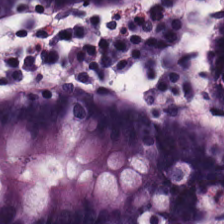Showing non-neoplastic colon mucosa.
